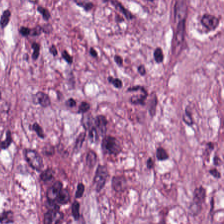H&E · 224×224 pixel tile · 0.5 µm per pixel. Q: Classify this patch.
A: Tumor-associated stroma.
